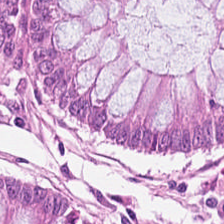Predominant tissue: non-neoplastic colon mucosa.
